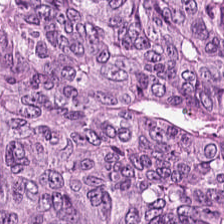0.5 µm/px. H&E stain — The predominant tissue is colorectal adenocarcinoma epithelium.
